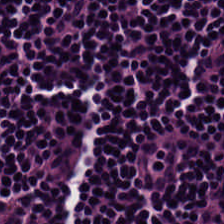Stain: hematoxylin and eosin.
Tissue: lymphocytes.
